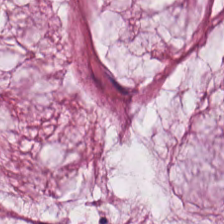The predominant tissue is mucus.
